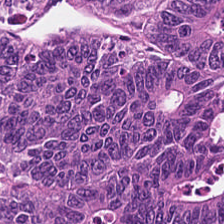H&E. WSI patch. This patch shows adenocarcinoma.
